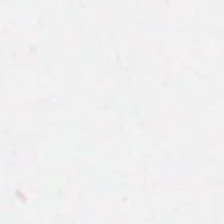Stain: H&E-stained tissue section.
Resolution: 20× equivalent magnification.
Preparation: FFPE.
Content: no tissue.
